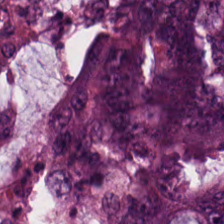Tissue — colorectal adenocarcinoma.
